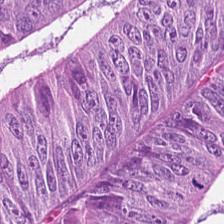H&E-stained tissue section — Showing colorectal adenocarcinoma epithelium.
